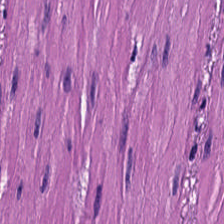H&E; brightfield microscopy — Tissue class = smooth muscle.
